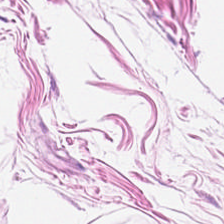Hematoxylin-and-eosin stained section. Formalin-fixed paraffin-embedded section. Q: Identify the tissue.
A: The field shows adipocytes.
